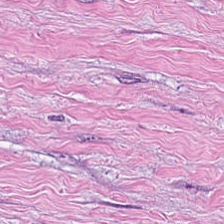Hematoxylin-and-eosin stained section.
{"tissue_type": "tumor-associated stroma"}
